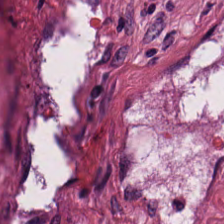Q: What is the predominant tissue type?
A: The field shows tumor stroma.
